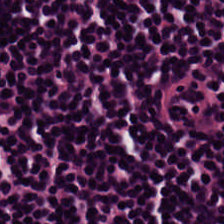224×224 px patch; H&E-stained tissue section.
The classification is lymphoid infiltrate.
